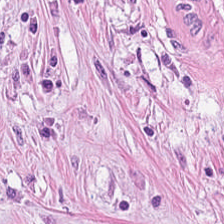H&E stain — Showing tumor stroma.
